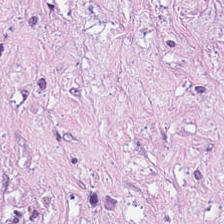Q: Classify this patch.
A: This is cancer-associated stroma.
